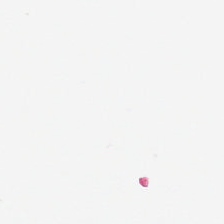H&E stain · 224×224 px tile.
Field content = background.
